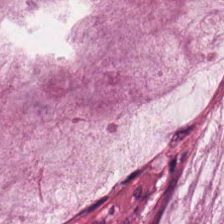Brightfield; hematoxylin and eosin; 20× equivalent magnification.
Extracellular mucin.
